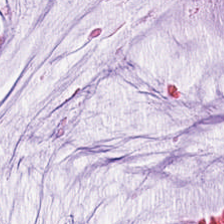Hematoxylin and eosin — Q: Classify this patch.
A: Mucus.
